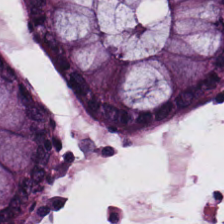Tissue class: benign colonic mucosa.
